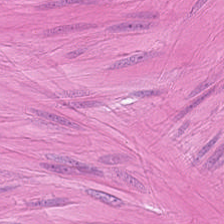{"tissue_type": "muscularis"}
